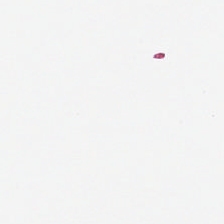224×224 px tile · 20× equivalent magnification · H&E.
Q: What is shown here?
A: This is background.
